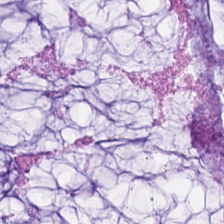Q: What is shown here?
A: The field shows extracellular mucin.
